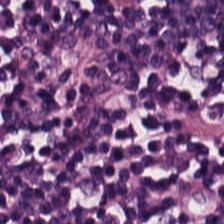224×224 pixel tile. H&E stain. 0.5 µm/px. Lymphocyte aggregate.
